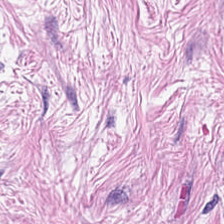H&E — The predominant tissue is tumor stroma.
